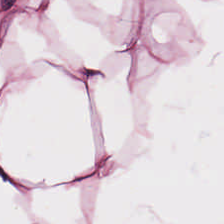H&E stain — This field is adipose tissue.
